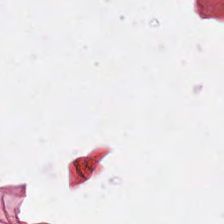FFPE · H&E-stained tissue section · 0.5 µm/px — Impression → background (no tissue).
